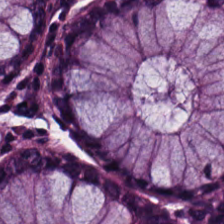FFPE tissue section · H&E-stained tissue section — This patch shows normal colonic mucosa.
